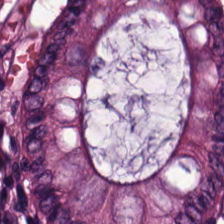H&E-stained tissue section. Predominantly normal colon mucosa.
